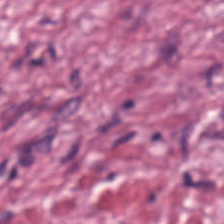{"tissue_type": "tumor-associated stroma"}
